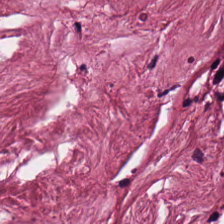224×224 px patch · hematoxylin-and-eosin stained section. Histology — desmoplastic stroma.
